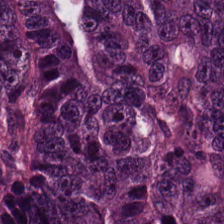Stain: H&E.
Acquisition: WSI patch.
Resolution: 0.5 µm/px.
Tissue class: malignant epithelium.
